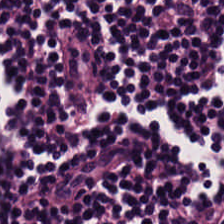H&E.
Q: What is the predominant tissue type?
A: This is lymphocyte aggregate.
